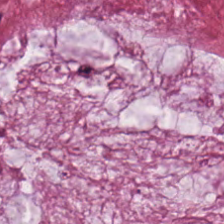H&E-stained tissue section — The predominant tissue is mucin.
